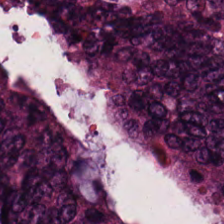Hematoxylin and eosin · 0.5 µm/px. Q: What type of tissue is this?
A: The field shows colorectal adenocarcinoma epithelium.
